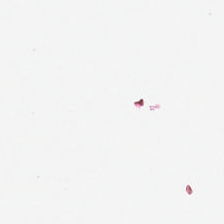Finding — background.
